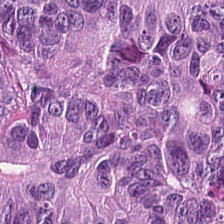Hematoxylin and eosin — Classification — tumor epithelium.
